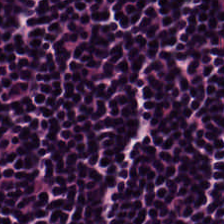WSI patch · hematoxylin and eosin.
Showing lymphocytic infiltrate.
